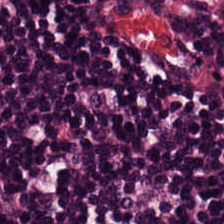Tissue type = lymphocytes.
